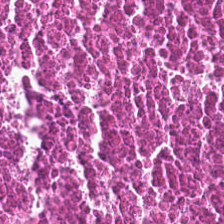Hematoxylin and eosin — Finding → debris.
